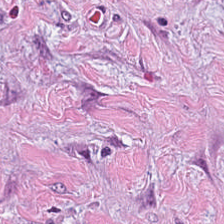Q: What is shown in this field?
A: The field shows desmoplastic stroma.
